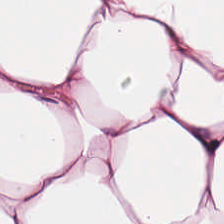H&E. WSI patch. Impression — fat tissue.
